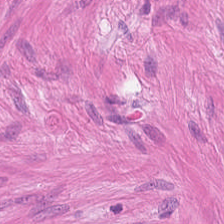Stain: H&E stain.
Classification: smooth muscle.
